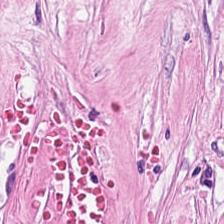Hematoxylin-and-eosin stained section. The tissue class is cancer-associated stroma.
